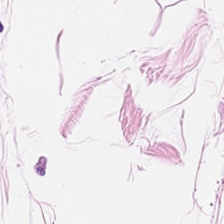H&E-stained section; the field shows adipose tissue.
